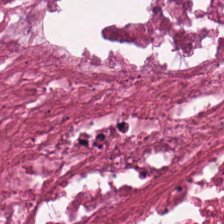Q: Identify the tissue.
A: It is cellular debris.
